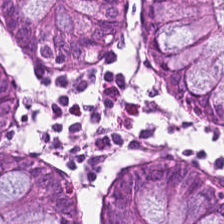H&E.
Showing benign colonic mucosa.
